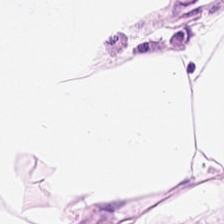Stain: H&E-stained tissue section.
Acquisition: brightfield microscopy.
Tissue type: adipocytes.
